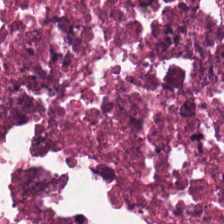0.5 µm/px; FFPE tissue section; hematoxylin and eosin. The tissue is necrotic debris.
